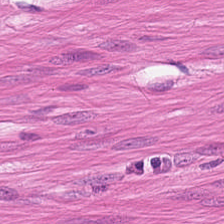Hematoxylin-and-eosin stained section. 0.5 microns per pixel. Tissue class — muscularis.
